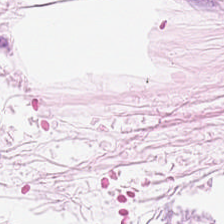Hematoxylin and eosin. Showing fat tissue.
